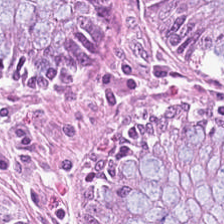H&E stain.
Predominant tissue = normal colonic mucosa.
